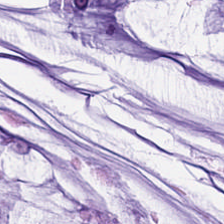H&E. Q: Classify this patch.
A: Extracellular mucin.
